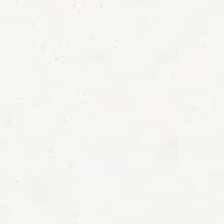FFPE tissue section. H&E — Classification: empty background.
